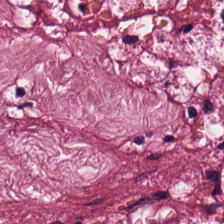Hematoxylin and eosin · 20× equivalent magnification — Q: What type of tissue is this?
A: This is tumor stroma.
